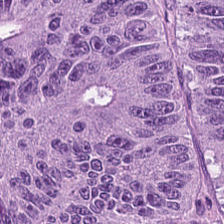224×224 px patch; H&E. Q: What type of tissue is this?
A: The field shows malignant epithelium.
